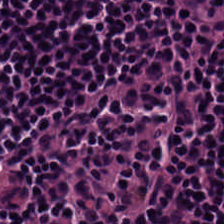224×224 px patch · hematoxylin-and-eosin stained section · whole-slide-image patch — Finding — lymphocytes.
